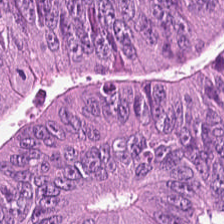H&E stain · FFPE · whole-slide-image patch. Predominant tissue = tumor epithelium.
